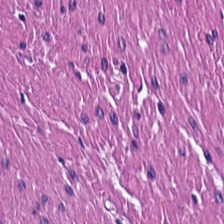Brightfield microscopy · FFPE · H&E-stained tissue section — The tissue here is smooth muscle.
